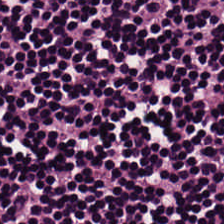Stain: hematoxylin-and-eosin stained section.
Resolution: 0.5 µm per pixel.
Tissue: lymphocyte aggregate.
